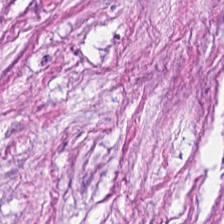0.5 µm per pixel · hematoxylin-and-eosin stained section — Predominantly cancer-associated stroma.
